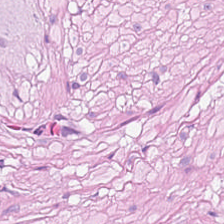Hematoxylin and eosin — This field is muscularis.
